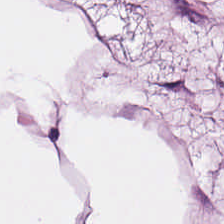Hematoxylin-and-eosin section: fat tissue.
